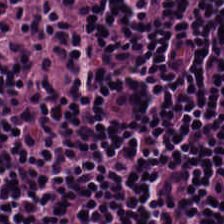H&E stain; 0.5 µm per pixel; whole-slide-image patch. Q: What is shown here?
A: The field shows lymphocyte aggregate.
